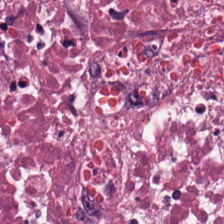Hematoxylin and eosin; brightfield; 224×224 px tile. Necrotic debris.
